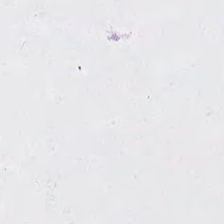H&E; formalin-fixed paraffin-embedded section. Finding — no tissue.
